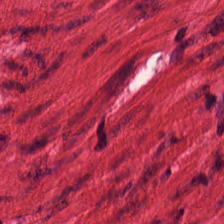Stain: H&E stain.
Preparation: formalin-fixed paraffin-embedded section.
Tissue type: muscularis.
